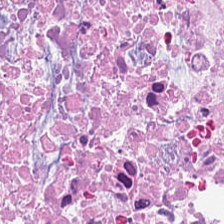Impression — cellular debris.
